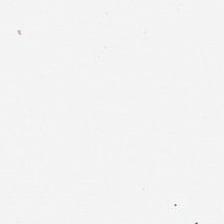Background — no tissue in this field.
